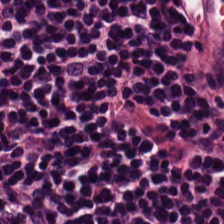Showing lymphocyte aggregate.
